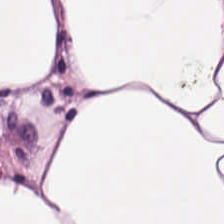Tissue class — adipose tissue.
